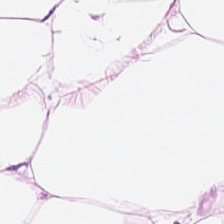Hematoxylin and eosin — Histology — adipocytes.
